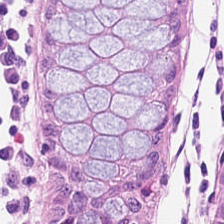Hematoxylin-and-eosin stained section. 224×224 px tile — Q: What tissue type is shown here?
A: Non-neoplastic colon mucosa.
